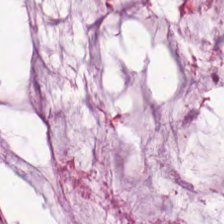WSI patch. Hematoxylin-and-eosin stained section. 0.5 microns per pixel — The tissue here is mucus.
